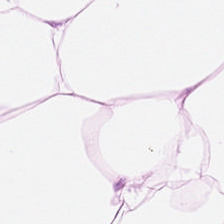Hematoxylin-and-eosin stained section.
Predominantly fat tissue.
